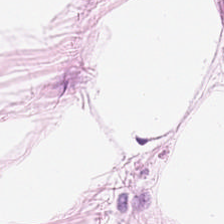Stain: H&E.
Tissue: adipose tissue.
